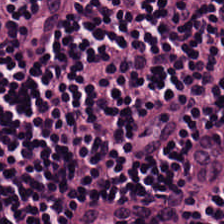Hematoxylin-and-eosin stained section — Lymphocyte aggregate.
